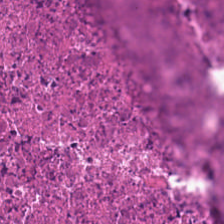Formalin-fixed paraffin-embedded section · hematoxylin and eosin · WSI patch. Predominantly debris.
